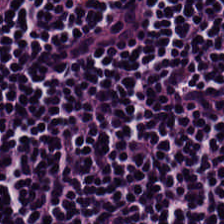Hematoxylin and eosin. Showing lymphocytes.
